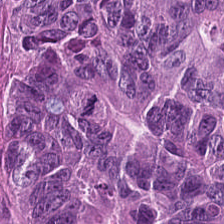H&E stain.
Predominantly colorectal adenocarcinoma.
